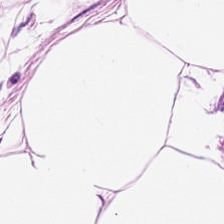Stain: H&E.
Acquisition: brightfield microscopy.
Preparation: FFPE tissue section.
Tissue class: adipocytes.
